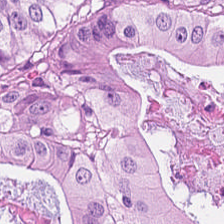224×224 px patch. Hematoxylin and eosin — Impression → colorectal adenocarcinoma.
